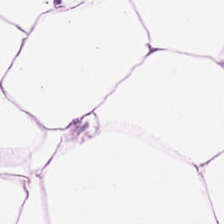Predominantly adipose.
